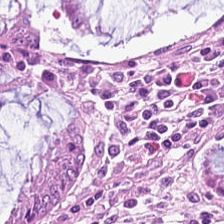Q: What is shown in this field?
A: The field shows normal colon mucosa.
